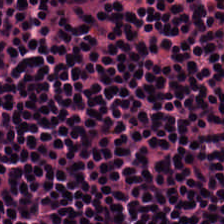Stain: H&E-stained tissue section.
Predominant tissue: lymphoid infiltrate.
